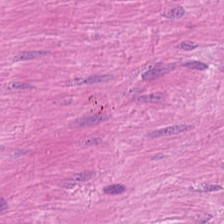Hematoxylin-and-eosin stained section.
The predominant tissue is muscularis.
